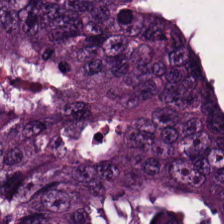Stain: hematoxylin-and-eosin stained section.
Predominant tissue: colorectal adenocarcinoma epithelium.
